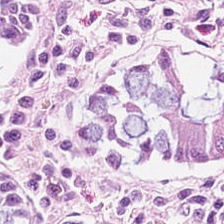WSI patch · 224×224 px tile · H&E — Histology → normal colon mucosa.
